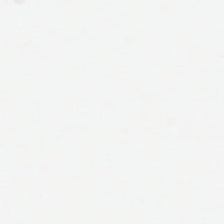Hematoxylin-and-eosin stained section — Impression → empty background.
